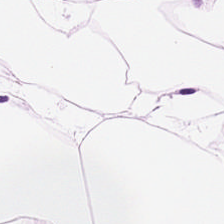H&E-stained tissue section · WSI patch.
Classification: adipose tissue.
